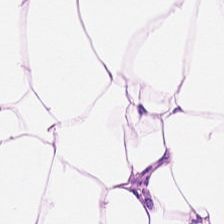FFPE; H&E stain.
Tissue type — fat tissue.
